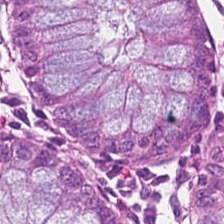Hematoxylin-and-eosin stained section.
This patch shows benign colonic mucosa.
